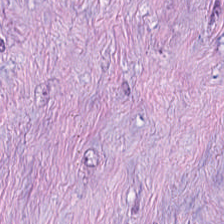H&E stain.
Predominantly cancer-associated stroma.
